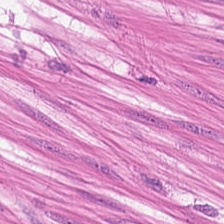Q: What is shown here?
A: Smooth muscle.
